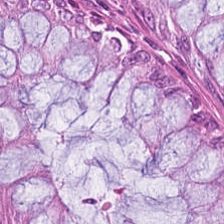H&E; FFPE.
The predominant tissue is normal colon mucosa.
